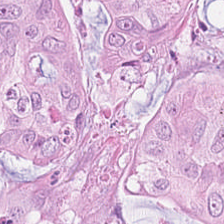Hematoxylin-and-eosin stained section — This field is colorectal adenocarcinoma epithelium.
